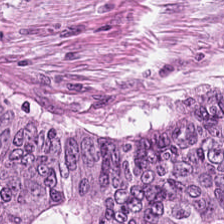Stain: H&E stain.
Tissue class: tumor epithelium.
